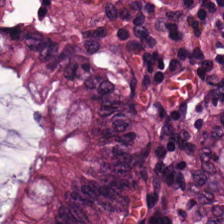H&E-stained tissue section · 0.5 µm per pixel · 224×224 px tile.
Showing normal colon mucosa.
